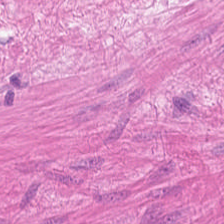H&E; 224×224 pixel tile. Histology → smooth muscle.
